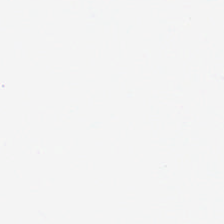Stain: H&E.
Field content: empty background.
